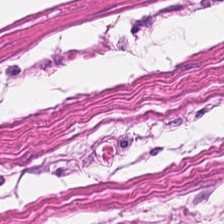224×224 px patch · H&E-stained tissue section · FFPE tissue section.
This field is smooth-muscle tissue.
